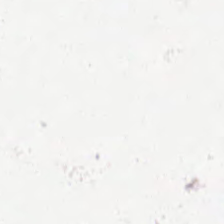Stain: hematoxylin and eosin.
Field content: empty background.
